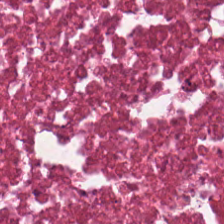0.5 microns per pixel. 224×224 px patch. Hematoxylin-and-eosin stained section — {"tissue_type": "cellular debris"}
